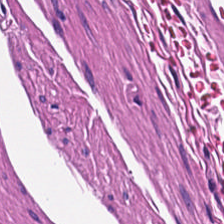H&E — Predominantly smooth-muscle tissue.
